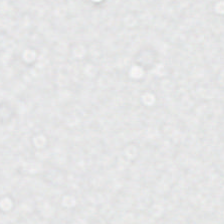FFPE · hematoxylin and eosin · 224×224 pixel tile — Classification: empty background.
